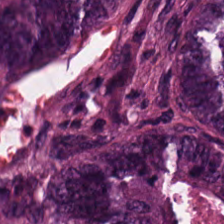H&E stain — Q: What tissue type is shown here?
A: This is tumor epithelium.
